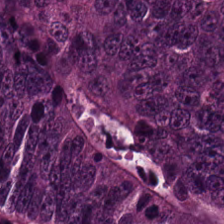WSI patch · hematoxylin-and-eosin stained section · 0.5 microns per pixel.
Q: What is the predominant tissue type?
A: Colorectal adenocarcinoma epithelium.
